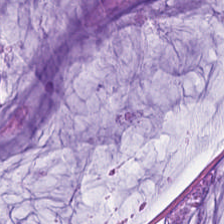Classification: mucus.
